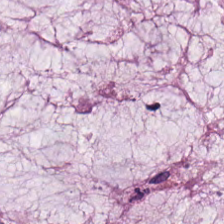Stain: hematoxylin and eosin.
Tissue type: extracellular mucin.
